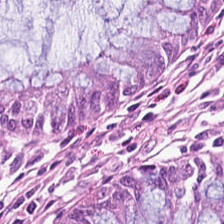Hematoxylin-and-eosin section: non-neoplastic colon mucosa.
